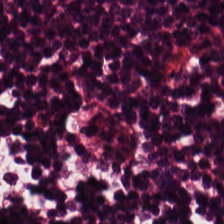Hematoxylin-and-eosin stained section — Q: What tissue is shown?
A: It is lymphocytes.
